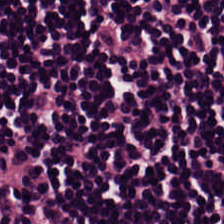Q: What tissue type is shown here?
A: This is lymphocyte aggregate.
